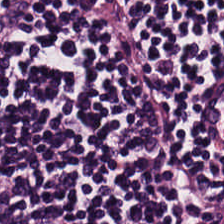The tissue here is lymphocytic infiltrate.
